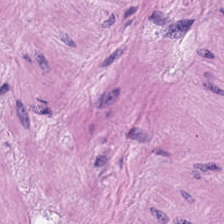H&E stain — The tissue is smooth muscle.
